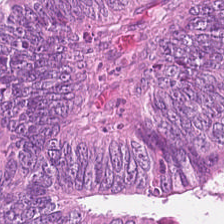Hematoxylin and eosin; brightfield. Tissue class = colorectal adenocarcinoma epithelium.
